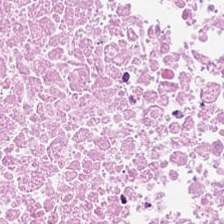224×224 px patch · H&E — This patch shows cellular debris.
